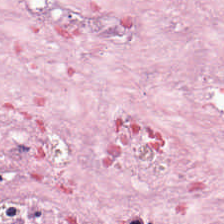H&E — The predominant tissue is tumor-associated stroma.
